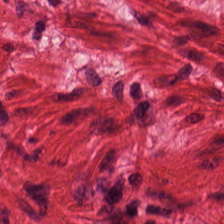Tissue — smooth-muscle tissue.
